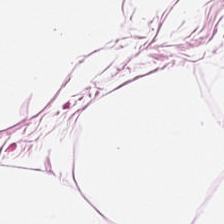Hematoxylin-and-eosin stained section. Q: What tissue type is shown here?
A: Adipose tissue.
